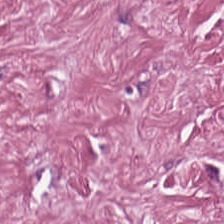H&E-stained tissue section. 0.5 microns per pixel. Whole-slide-image patch. {"tissue_type": "tumor-associated stroma"}
